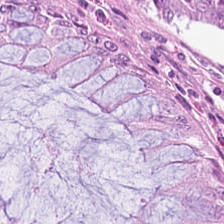H&E-stained tissue section · 0.5 µm per pixel — Tissue type: non-neoplastic colon mucosa.
